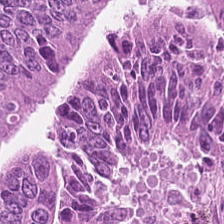H&E stain. 224×224 px tile. Showing malignant epithelium.
